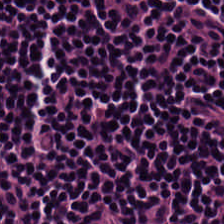Hematoxylin-and-eosin stained section. Tissue type = lymphocyte aggregate.
